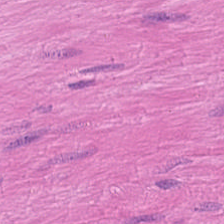H&E stain.
Predominantly muscularis.
